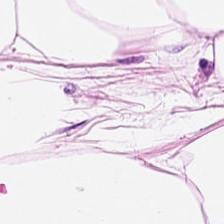H&E.
The tissue is adipose tissue.
